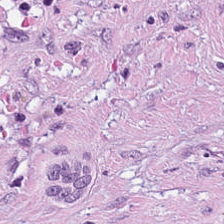Formalin-fixed paraffin-embedded section; H&E-stained tissue section.
The classification is tumor-associated stroma.
